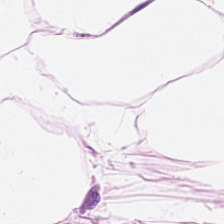0.5 microns per pixel. Hematoxylin-and-eosin stained section — This field is adipocytes.
